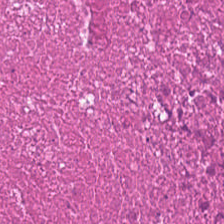224×224 pixel tile; hematoxylin and eosin; 0.5 microns per pixel — Tissue class — cellular debris.
